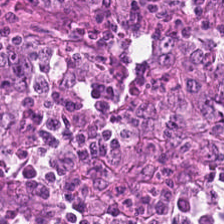H&E.
Showing tumor epithelium.
